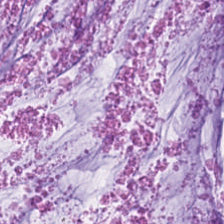Mucin.
